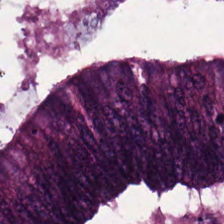Hematoxylin-and-eosin stained section. This field is colorectal adenocarcinoma.
